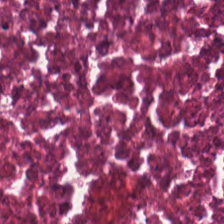H&E stain — Showing necrotic debris.
